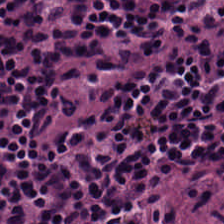H&E-stained tissue section.
The predominant tissue is lymphoid infiltrate.
